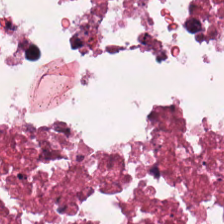FFPE tissue section; H&E-stained tissue section. Impression → necrotic debris.
